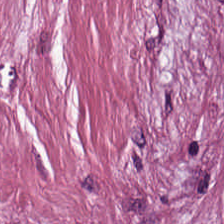The tissue is desmoplastic stroma.
